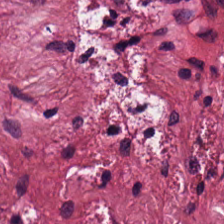Formalin-fixed paraffin-embedded section · H&E-stained tissue section. Q: What tissue type is shown here?
A: Cancer-associated stroma.
